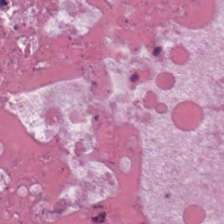H&E; WSI patch.
Tissue — debris.
